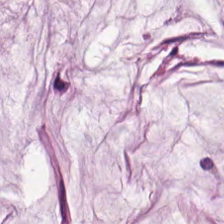Showing mucus.
